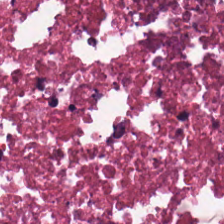Q: Identify the tissue.
A: The field shows debris.
